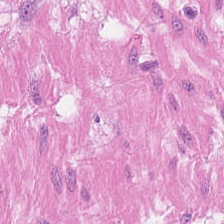224×224 px tile · hematoxylin-and-eosin stained section · brightfield microscopy. Q: What is shown here?
A: This is smooth muscle.
